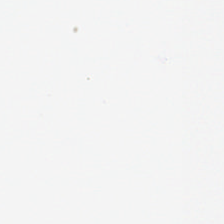FFPE tissue section · H&E. Field content — no tissue.
